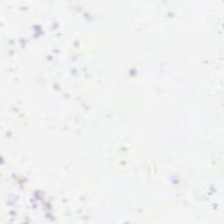Brightfield; H&E; 224×224 px patch.
Content = background.
